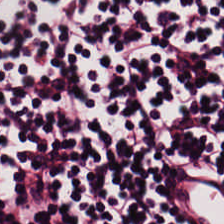Stain: hematoxylin-and-eosin stained section.
Classification: lymphocyte aggregate.
